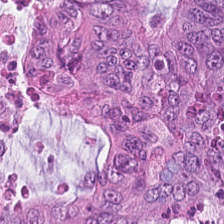224×224 pixel tile. H&E-stained tissue section. The predominant tissue is adenocarcinoma.
